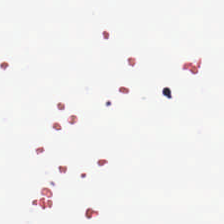This patch shows background (no tissue).
